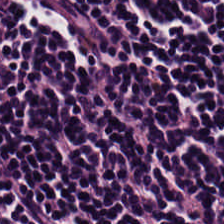Stain: H&E-stained tissue section.
Tissue class: lymphocyte aggregate.
